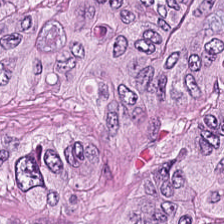Stain: H&E stain.
Resolution: 20× equivalent magnification.
Classification: adenocarcinoma.
